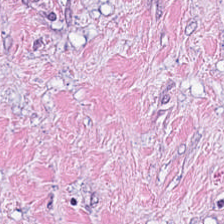Finding → tumor stroma.
